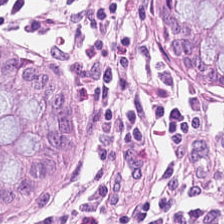Brightfield microscopy. H&E. This patch shows non-neoplastic colon mucosa.
